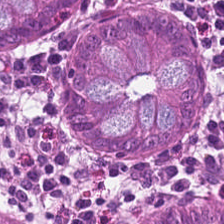Hematoxylin-and-eosin stained section · 224×224 pixel tile. Q: What type of tissue is this?
A: The field shows normal colon mucosa.
